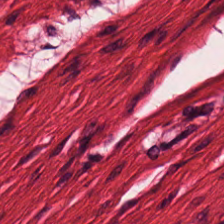Hematoxylin-and-eosin stained section — Showing muscularis.
